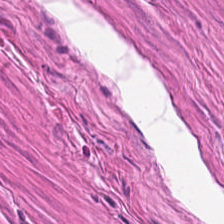The predominant tissue is muscularis.
